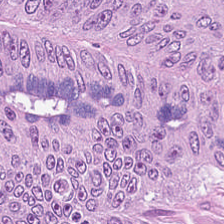FFPE tissue section. H&E stain — Q: Classify this patch.
A: It is adenocarcinoma.
